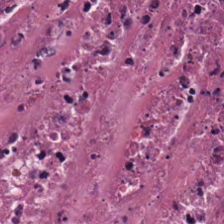H&E-stained tissue section.
The tissue here is cellular debris.
